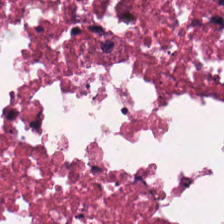Q: What does this patch show?
A: Debris.
